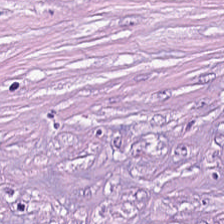Tissue type = tumor-associated stroma.
